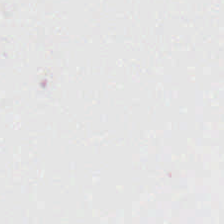Stain: H&E.
Preparation: formalin-fixed paraffin-embedded section.
Acquisition: brightfield microscopy.
Classification: empty background.
